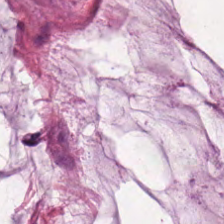Stain: H&E.
Predominant tissue: mucin.
